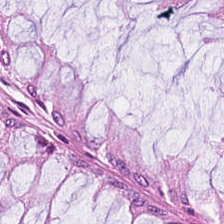Brightfield microscopy · hematoxylin and eosin. Predominant tissue: normal colon mucosa.
